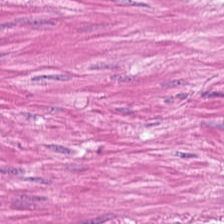Hematoxylin-and-eosin stained section. This patch shows smooth-muscle tissue.
